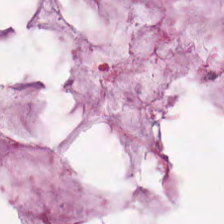H&E-stained section; the field shows extracellular mucin.
